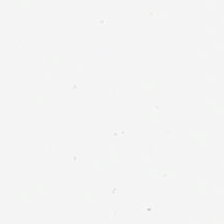Hematoxylin and eosin.
No tissue present; background only.
